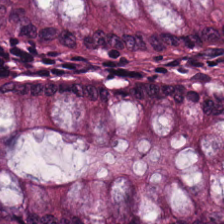0.5 µm/px · brightfield · H&E stain. Predominant tissue — normal colon mucosa.
